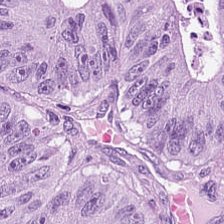Stain: H&E.
Tile size: 224×224 px tile.
Resolution: 20× equivalent magnification.
Predominant tissue: colorectal adenocarcinoma.
